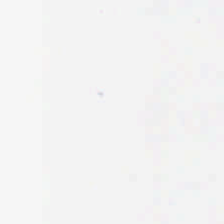H&E stain. Brightfield microscopy.
Empty field — no tissue.
